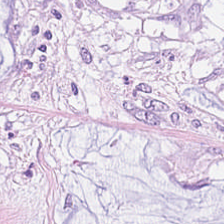H&E. Predominant tissue: mucin.
